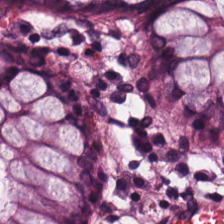H&E. This patch shows benign colonic mucosa.
